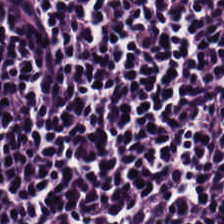Hematoxylin-and-eosin stained section. Q: What tissue type is shown here?
A: This is lymphocytes.
